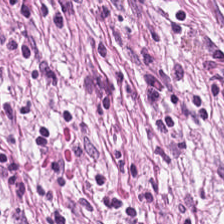Stain: hematoxylin-and-eosin stained section.
Tissue: tumor-associated stroma.
